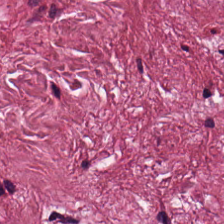Histology — tumor-associated stroma.
